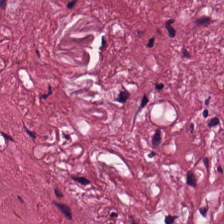Classification — tumor-associated stroma.
